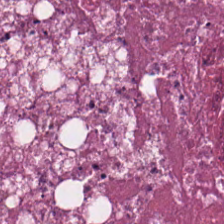H&E-stained tissue section; FFPE tissue section; 0.5 µm/px. This field is necrotic debris.
